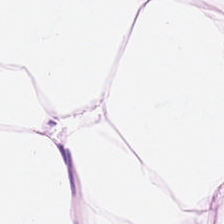Hematoxylin-and-eosin stained section; WSI patch; 224×224 px tile.
The tissue here is adipose.
